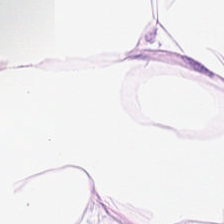Hematoxylin-and-eosin stained section · FFPE.
Q: What is shown here?
A: The field shows adipose.
